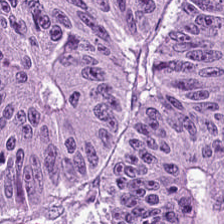WSI patch; 224×224 px patch; hematoxylin and eosin — Predominantly tumor epithelium.
